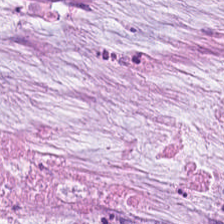This field is extracellular mucin.
